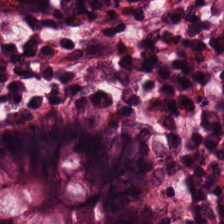Hematoxylin-and-eosin stained section.
Q: What type of tissue is this?
A: The field shows normal colonic mucosa.
